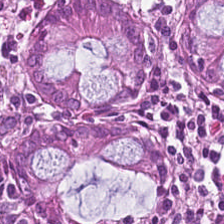Stain: H&E-stained tissue section.
Classification: benign colonic mucosa.
